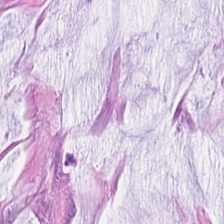H&E; 224×224 px patch.
Tissue type: mucin.
